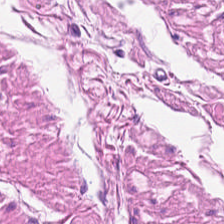H&E stain — Impression — smooth-muscle tissue.
